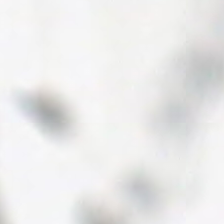This field is background (no tissue).
